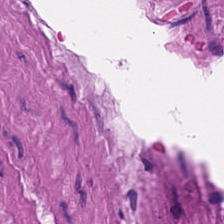Hematoxylin and eosin · 0.5 µm/px.
This field is smooth-muscle tissue.
